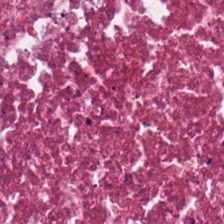H&E. {"tissue_type": "debris"}
